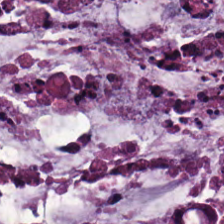H&E-stained tissue section — The tissue type is extracellular mucin.
